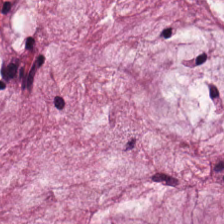Q: Classify this patch.
A: The field shows mucin.
